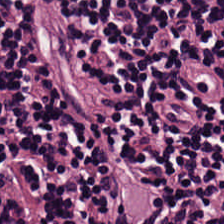H&E — Q: What is shown here?
A: This is lymphocytes.
